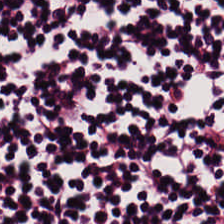Hematoxylin-and-eosin stained section. 20× equivalent magnification. {"tissue_type": "lymphocyte aggregate"}
